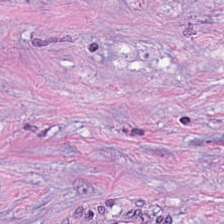H&E-stained tissue section; brightfield microscopy. Predominant tissue = tumor stroma.
